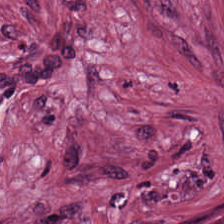Whole-slide-image patch · 0.5 microns per pixel · hematoxylin-and-eosin stained section. Tumor-associated stroma.
